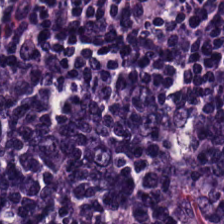224×224 px patch · H&E stain · 0.5 microns per pixel.
Finding → lymphocyte aggregate.
